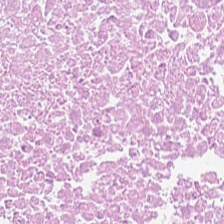H&E; 0.5 microns per pixel; 224×224 pixel tile.
Predominant tissue — necrotic debris.
